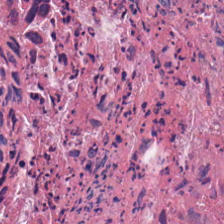{"tissue_type": "debris"}
